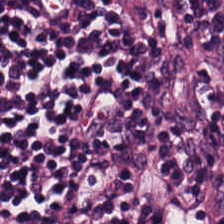H&E-stained tissue section. This field is lymphocytic infiltrate.
